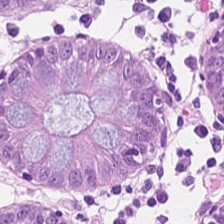H&E-stained tissue section.
Predominant tissue — non-neoplastic colon mucosa.
